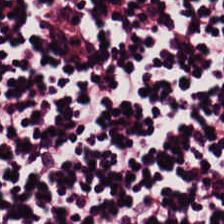H&E stain.
Showing lymphocytes.
